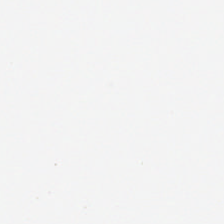FFPE; hematoxylin and eosin — Content — empty background.
